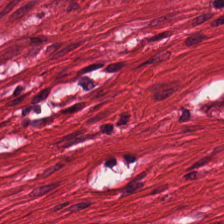Hematoxylin-and-eosin stained section — Classification — muscularis.
